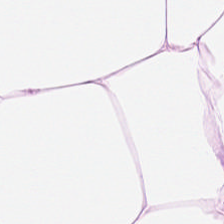224×224 px patch · H&E stain — Predominantly adipocytes.
